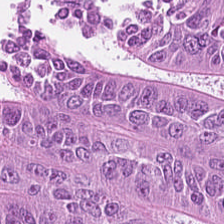H&E-stained tissue section — {"tissue_type": "adenocarcinoma"}
